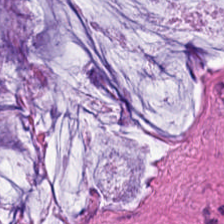224×224 px tile · H&E. Histology → mucus.
